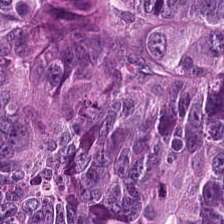Hematoxylin and eosin. Q: What type of tissue is this?
A: The field shows colorectal adenocarcinoma.
